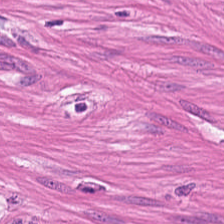Hematoxylin-and-eosin stained section.
Predominantly smooth-muscle tissue.
